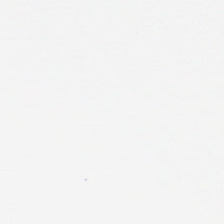Hematoxylin and eosin.
Q: Classify this patch.
A: This is empty background.
